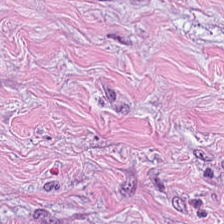Stain: hematoxylin and eosin.
Tissue type: tumor-associated stroma.
